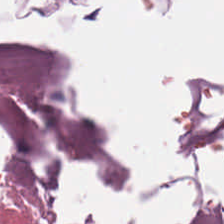H&E stain. This field is adipocytes.
